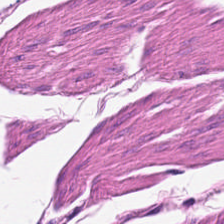224×224 px patch; H&E-stained tissue section; brightfield microscopy — The tissue here is smooth muscle.
